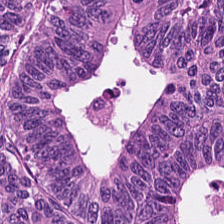H&E stain. This patch shows colorectal adenocarcinoma epithelium.
